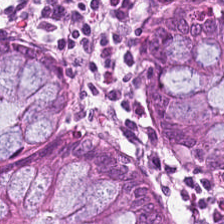0.5 µm/px · 224×224 px tile · H&E — This patch shows normal colon mucosa.
